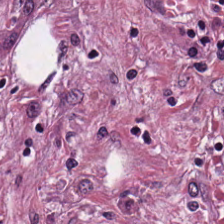FFPE tissue section; H&E-stained tissue section; 0.5 µm per pixel. Showing tumor stroma.
